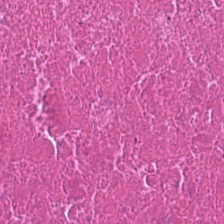Stain: H&E-stained tissue section.
Acquisition: whole-slide-image patch.
Tissue type: necrotic debris.
